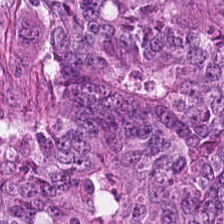H&E stain; 0.5 µm per pixel. Colorectal adenocarcinoma.
